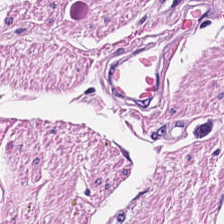This patch shows smooth muscle.
